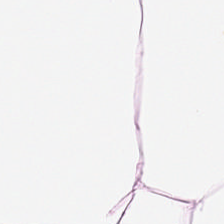Hematoxylin-and-eosin stained section; 224×224 px tile — Showing adipose.
